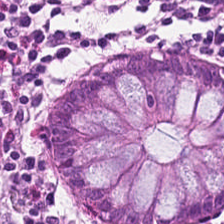H&E stain · 0.5 µm per pixel.
Q: What is shown here?
A: It is non-neoplastic colon mucosa.
